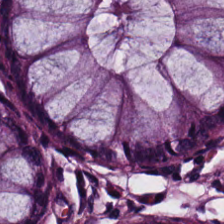H&E-stained tissue section; FFPE tissue section.
The predominant tissue is non-neoplastic colon mucosa.
